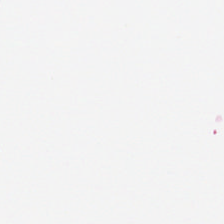Stain: hematoxylin and eosin.
Acquisition: WSI patch.
Resolution: 0.5 µm per pixel.
Field content: no tissue.
